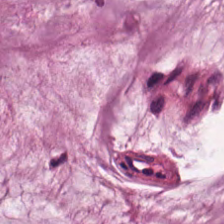Whole-slide-image patch · H&E-stained tissue section · FFPE — Showing extracellular mucin.
